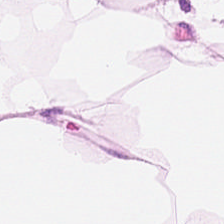Histology → adipocytes.
